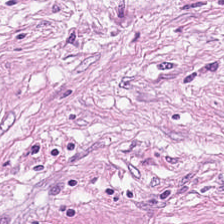Stain: H&E stain.
Resolution: 0.5 µm/px.
Preparation: FFPE tissue section.
Predominant tissue: cancer-associated stroma.
